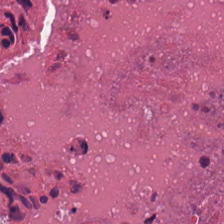H&E-stained section; the field shows necrotic debris.
